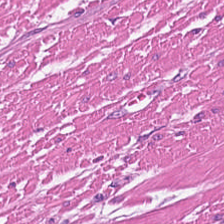H&E-stained tissue section. Q: What tissue type is shown here?
A: It is muscularis.
